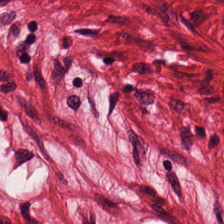H&E stain. This patch shows smooth muscle.
